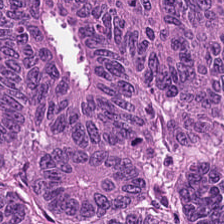Hematoxylin-and-eosin stained section.
Finding — colorectal adenocarcinoma.
